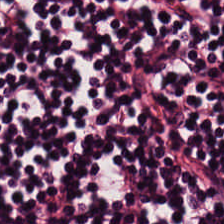Hematoxylin and eosin. 0.5 µm/px. Q: What tissue type is shown here?
A: It is lymphoid infiltrate.
